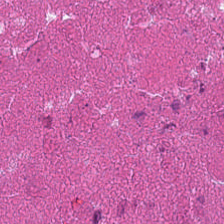Hematoxylin and eosin. {"tissue_type": "necrotic debris"}
